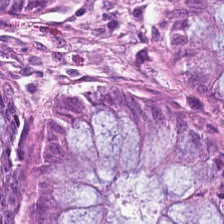H&E. 224×224 px patch. Brightfield microscopy. The tissue type is non-neoplastic colon mucosa.
